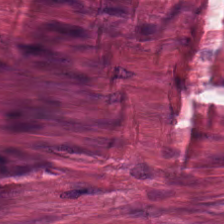H&E stain.
Histology → desmoplastic stroma.
